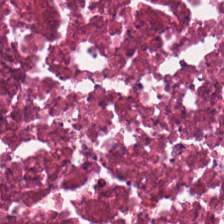H&E.
{"tissue_type": "debris"}
